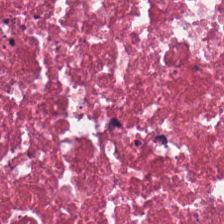Tissue class: necrotic debris.
